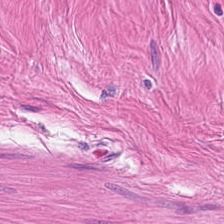Classification = muscularis.
